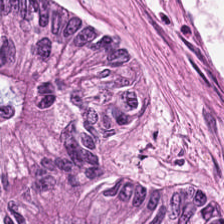Hematoxylin-and-eosin stained section · FFPE.
Tissue class: adenocarcinoma.
